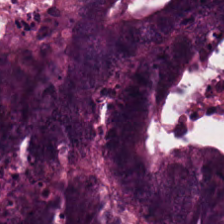{"tissue_type": "tumor epithelium"}
